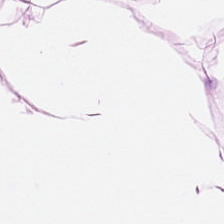H&E-stained tissue section; 0.5 µm per pixel; whole-slide-image patch.
Showing adipose.
